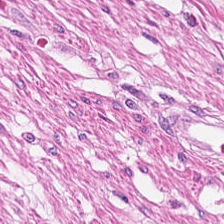Q: What does this patch show?
A: This is muscularis.
